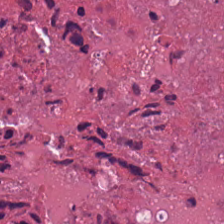H&E patch showing cellular debris.
